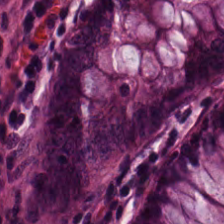Tissue type — normal colon mucosa.
